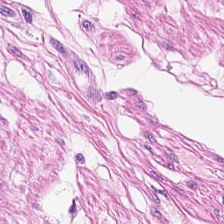224×224 px patch; hematoxylin-and-eosin stained section.
Showing muscularis.
